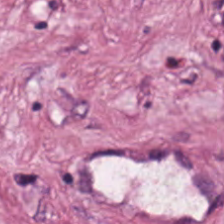H&E stain — Finding → tumor-associated stroma.
